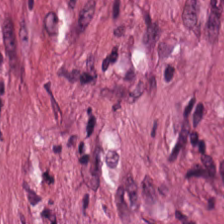Hematoxylin and eosin. Q: What tissue is shown?
A: This is tumor-associated stroma.
